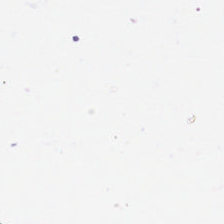Hematoxylin and eosin.
No tissue present; background only.
